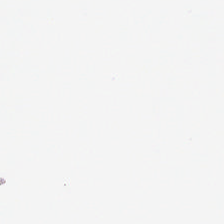Hematoxylin and eosin — Content: background (no tissue).
